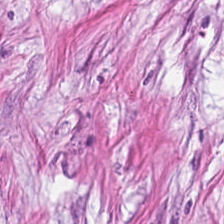H&E-stained tissue section.
Predominant tissue: desmoplastic stroma.
